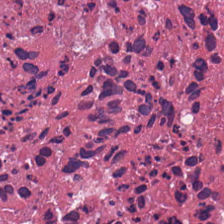H&E-stained tissue section.
Finding → debris.
